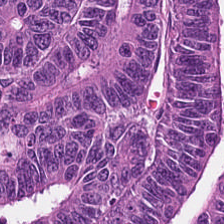Hematoxylin and eosin. The predominant tissue is adenocarcinoma.
